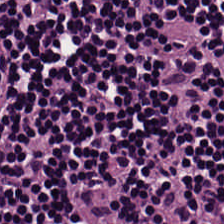Formalin-fixed paraffin-embedded section. Brightfield. Hematoxylin-and-eosin stained section.
Lymphocytes.
